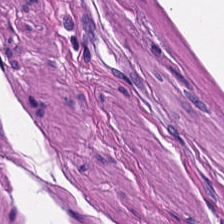H&E-stained tissue section.
Tissue class — smooth muscle.
